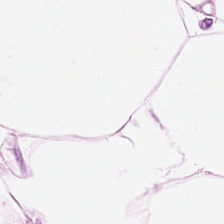FFPE · hematoxylin and eosin — Adipocytes.
